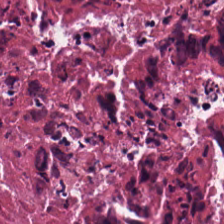Stain: hematoxylin-and-eosin stained section.
Tissue class: necrotic debris.
